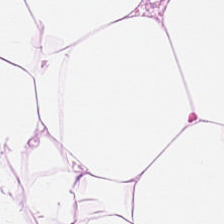FFPE; H&E stain; 0.5 µm/px — Q: What tissue is shown?
A: It is fat tissue.
